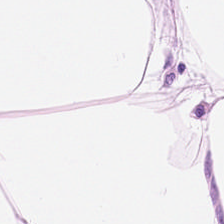This patch shows adipocytes.
